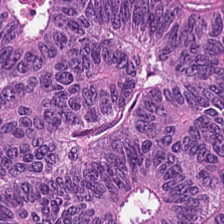The tissue class is malignant epithelium.
